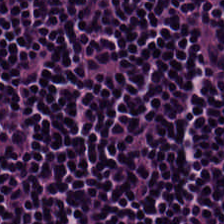Showing lymphocyte aggregate.
